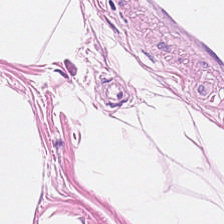Hematoxylin and eosin.
{"tissue_type": "adipose tissue"}
